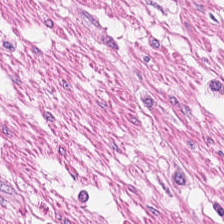H&E-stained tissue section · brightfield microscopy. Tissue = smooth-muscle tissue.
